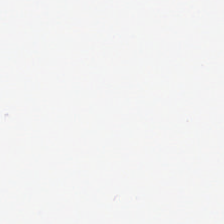WSI patch · hematoxylin-and-eosin stained section — This patch shows background (no tissue).
